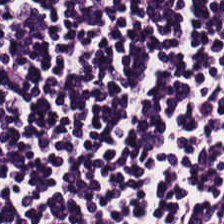Hematoxylin and eosin — Showing lymphocytes.
